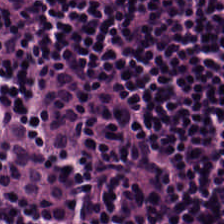Hematoxylin and eosin; FFPE tissue section.
{"tissue_type": "lymphocytic infiltrate"}
